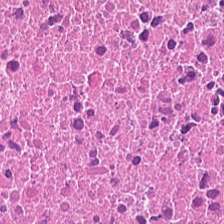Stain: hematoxylin and eosin.
Tissue type: debris.
